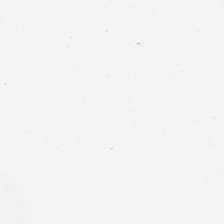H&E — This field is background (no tissue).
